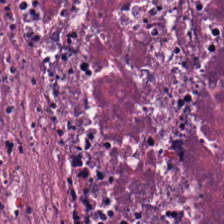224×224 pixel tile. H&E stain.
Histology — necrotic debris.
